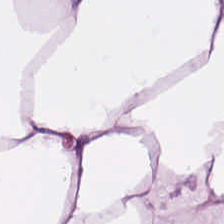Q: What tissue is shown?
A: This is fat tissue.
